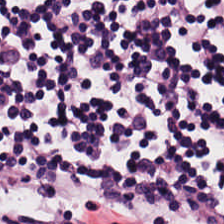Classification: lymphocytic infiltrate.
